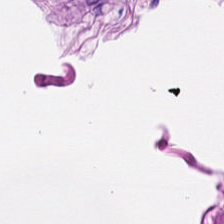H&E stain. 0.5 microns per pixel. Tissue class = smooth-muscle tissue.
